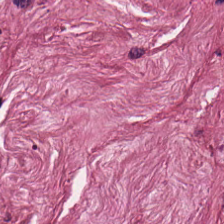Predominantly desmoplastic stroma.
